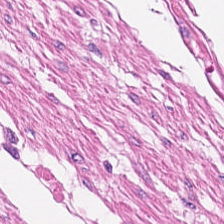Histology → smooth muscle.
